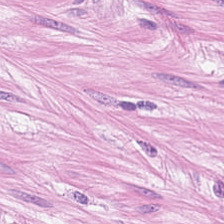H&E-stained tissue section — {"tissue_type": "smooth-muscle tissue"}
